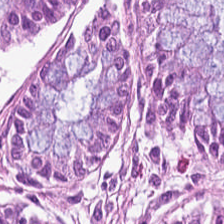The predominant tissue is benign colonic mucosa.
